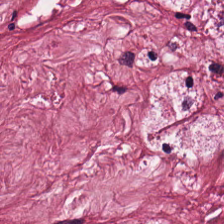Whole-slide-image patch; H&E-stained tissue section — Histology — tumor stroma.
